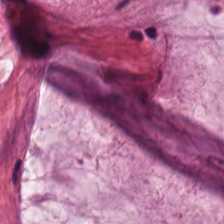H&E stain.
Showing extracellular mucin.
